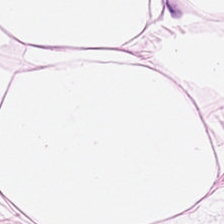WSI patch. Hematoxylin and eosin.
This patch shows adipose.
